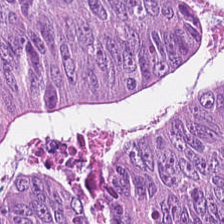Whole-slide-image patch; H&E stain; 0.5 microns per pixel — Tissue type: colorectal adenocarcinoma.
